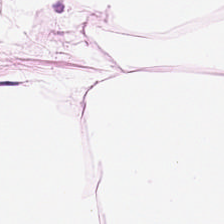Stain: hematoxylin and eosin.
Tissue type: fat tissue.
